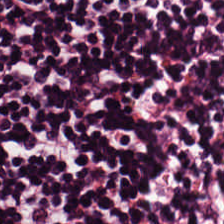FFPE; 224×224 px tile; H&E stain. The tissue here is lymphoid infiltrate.
